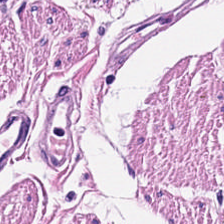H&E · brightfield microscopy · 224×224 pixel tile. Showing smooth-muscle tissue.
